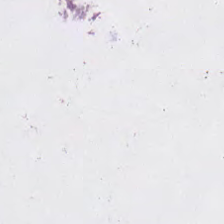Hematoxylin and eosin — Empty field — background (no tissue).
